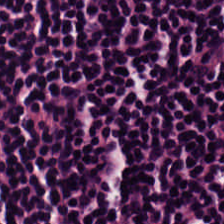H&E · 224×224 pixel tile · formalin-fixed paraffin-embedded section — This patch shows lymphocytes.
